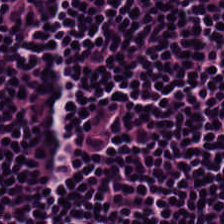H&E-stained section; the field shows lymphocytic infiltrate.
